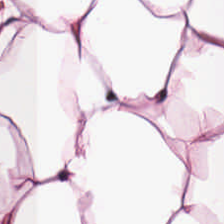H&E stain.
Finding — fat tissue.
